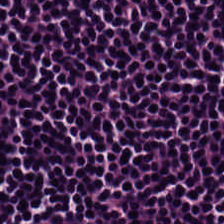H&E stain.
The tissue type is lymphocyte aggregate.
